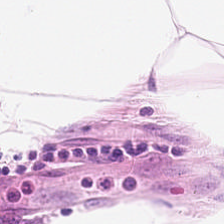FFPE. H&E-stained tissue section. Q: What is shown here?
A: It is fat tissue.
